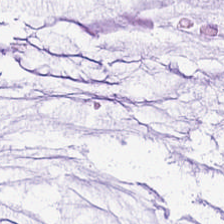Hematoxylin and eosin.
Mucus.
